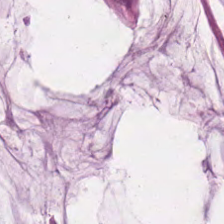H&E — This field is mucin.
